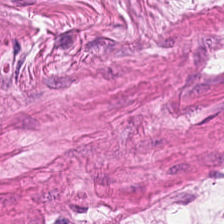H&E — The tissue here is smooth muscle.
